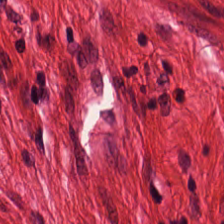H&E — This field is smooth muscle.
